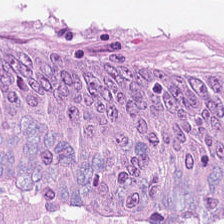Predominantly colorectal adenocarcinoma epithelium.
